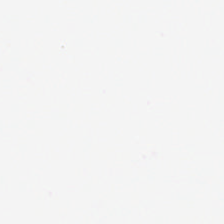FFPE · 20× equivalent magnification · H&E stain. Q: Classify this patch.
A: The field shows background.
